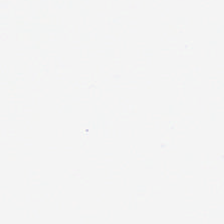Empty field — background (no tissue).
